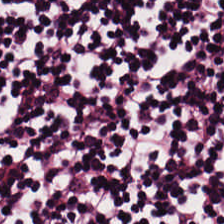Stain: H&E-stained tissue section.
Tissue class: lymphocyte aggregate.
